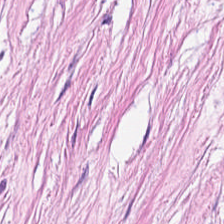H&E-stained tissue section. Predominantly tumor stroma.
